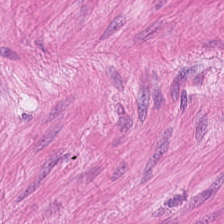H&E-stained tissue section — Showing muscularis.
